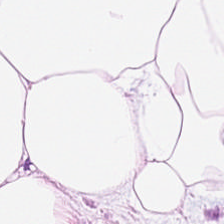Hematoxylin and eosin.
Tissue class = adipocytes.
